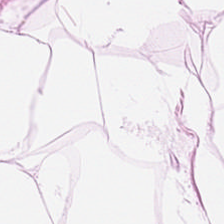Hematoxylin and eosin — Predominant tissue: adipose.
